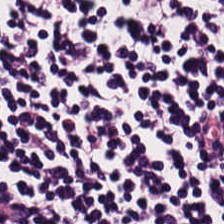Hematoxylin-and-eosin stained section.
The predominant tissue is lymphoid infiltrate.
